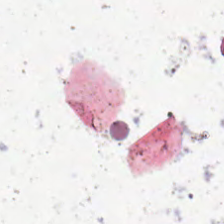Field content = empty background.
